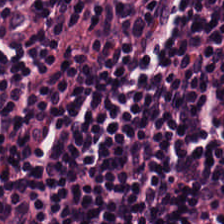Hematoxylin and eosin. Tissue type = lymphocyte aggregate.
